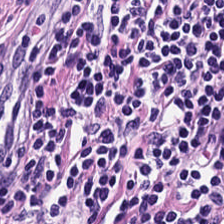H&E stain. Q: What type of tissue is this?
A: This is lymphocyte aggregate.
